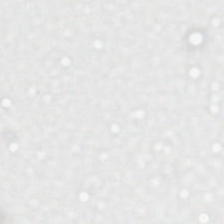Q: What is shown in this field?
A: The field shows empty background.
